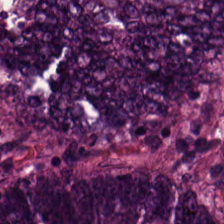Stain: H&E-stained tissue section.
Tissue class: adenocarcinoma.
